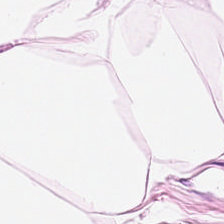0.5 microns per pixel; H&E. The tissue is fat tissue.
